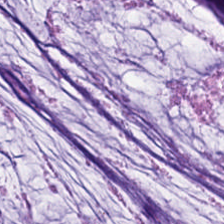Q: What does this patch show?
A: This is mucin.
